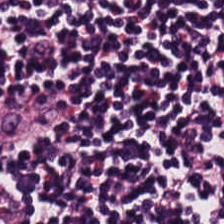Hematoxylin and eosin. Formalin-fixed paraffin-embedded section.
The predominant tissue is lymphocyte aggregate.
